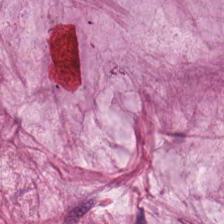H&E-stained tissue section. FFPE.
Q: What is the predominant tissue type?
A: The field shows mucus.
